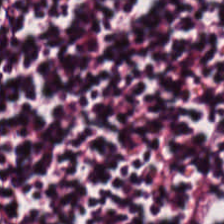Hematoxylin-and-eosin stained section. Brightfield microscopy. FFPE tissue section — Histology → lymphocytes.
